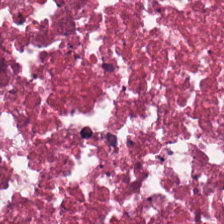H&E stain · brightfield microscopy · 224×224 pixel tile — The predominant tissue is necrotic debris.
